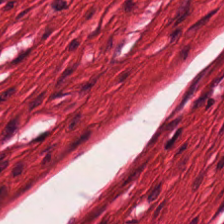H&E-stained tissue section. The predominant tissue is muscularis.
